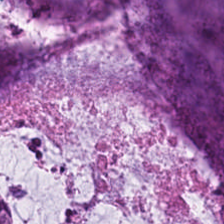Q: What is the predominant tissue type?
A: It is mucin.
